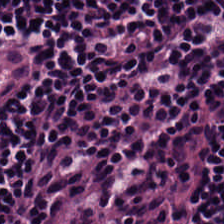Stain: H&E stain.
Resolution: 20× equivalent magnification.
Tissue: lymphoid infiltrate.
